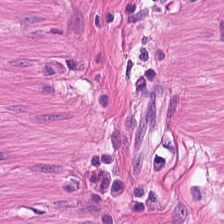Stain: hematoxylin-and-eosin stained section.
Classification: smooth-muscle tissue.
